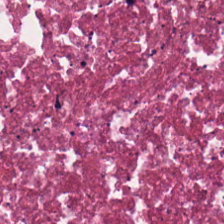Hematoxylin and eosin.
Classification — necrotic debris.
